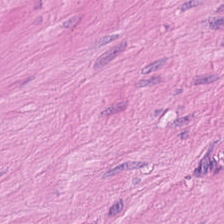This field is smooth-muscle tissue.
